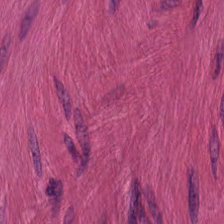0.5 µm/px. Whole-slide-image patch. H&E — Tissue type: smooth muscle.
